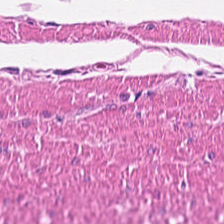H&E-stained section; the field shows muscularis.
